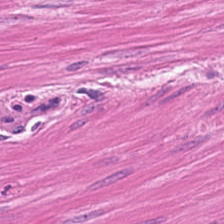H&E stain · WSI patch. This patch shows muscularis.
